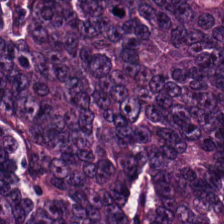Hematoxylin and eosin. FFPE tissue section. Whole-slide-image patch. This field is malignant epithelium.
